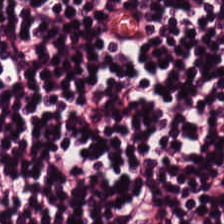Hematoxylin-and-eosin stained section. Q: What is the predominant tissue type?
A: It is lymphocytic infiltrate.
